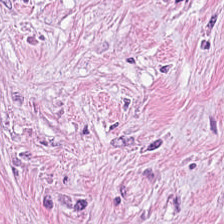H&E; FFPE; 0.5 microns per pixel — Histology → desmoplastic stroma.
